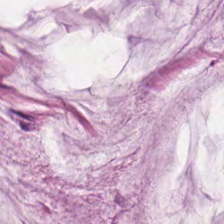Whole-slide-image patch · formalin-fixed paraffin-embedded section · hematoxylin-and-eosin stained section — {"tissue_type": "mucin"}
